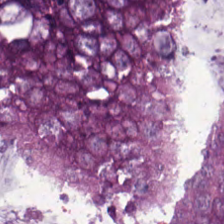This field is colorectal adenocarcinoma epithelium.
